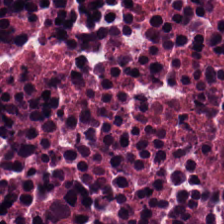Hematoxylin-and-eosin stained section.
This patch shows cellular debris.
